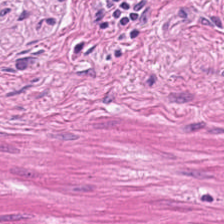H&E-stained tissue section — Q: What is shown in this field?
A: It is smooth muscle.
